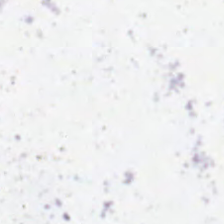FFPE · H&E.
This field is background (no tissue).
